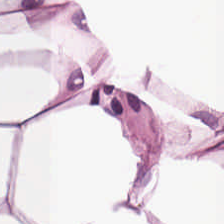Whole-slide-image patch; H&E stain; 0.5 µm per pixel — This patch shows adipose.
